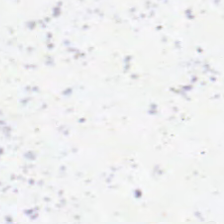This field is background (no tissue).
